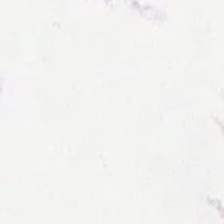Field content — no tissue.
